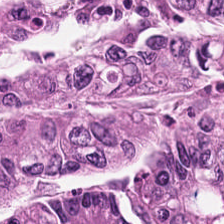Stain: hematoxylin-and-eosin stained section.
Resolution: 20× equivalent magnification.
Acquisition: brightfield.
Predominant tissue: colorectal adenocarcinoma epithelium.
